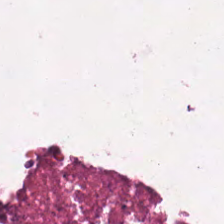0.5 µm/px. H&E. FFPE tissue section.
Showing cellular debris.
